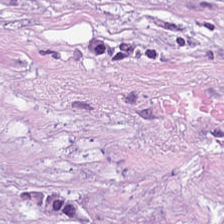Hematoxylin-and-eosin stained section. The predominant tissue is desmoplastic stroma.
